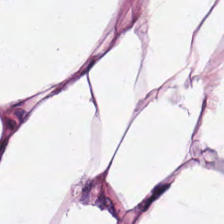H&E-stained tissue section. 224×224 px patch. Formalin-fixed paraffin-embedded section. Finding — fat tissue.
